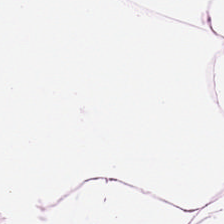H&E stain.
Predominant tissue: adipocytes.
